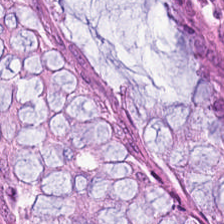Hematoxylin and eosin. Tissue class = benign colonic mucosa.
